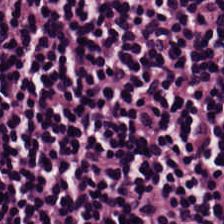Hematoxylin and eosin; brightfield. Classification — lymphocyte aggregate.
